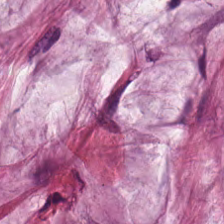{"tissue_type": "mucin"}
